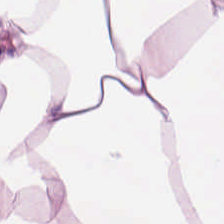H&E — fat tissue.
